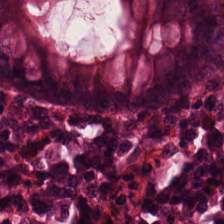H&E stain. Predominantly normal colonic mucosa.
